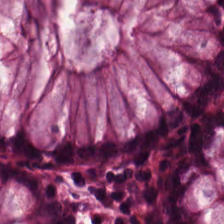Whole-slide-image patch. H&E — Tissue type — normal colonic mucosa.
